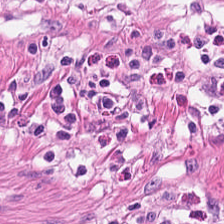H&E-stained tissue section.
This field is smooth muscle.
